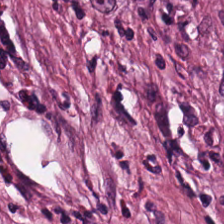Stain: H&E-stained tissue section.
Preparation: FFPE tissue section.
Tile size: 224×224 pixel tile.
Tissue type: tumor stroma.
